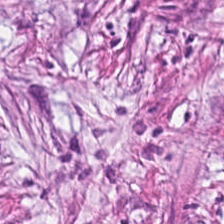H&E.
{"tissue_type": "cancer-associated stroma"}
